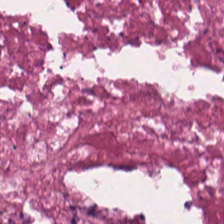Whole-slide-image patch · 0.5 microns per pixel · hematoxylin-and-eosin stained section.
The tissue class is necrotic debris.
